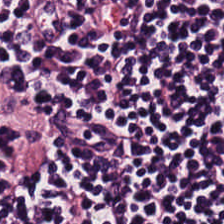The tissue here is lymphocyte aggregate.
